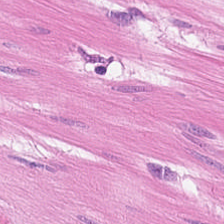224×224 pixel tile · FFPE · H&E-stained tissue section. Classification: muscularis.
